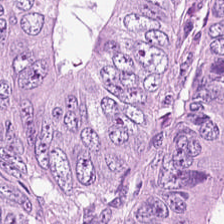224×224 px patch. H&E-stained tissue section — Q: What is shown in this field?
A: It is malignant epithelium.
